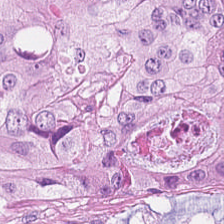Stain: H&E.
Tissue: colorectal adenocarcinoma.
